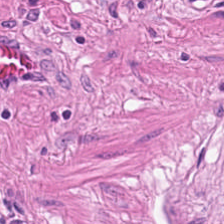Showing muscularis.
